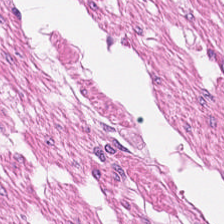Hematoxylin-and-eosin stained section; 224×224 pixel tile; 0.5 µm/px — Tissue = muscularis.
